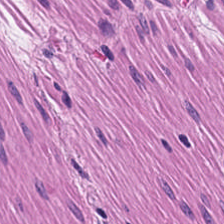Q: Identify the tissue.
A: The field shows muscularis.
